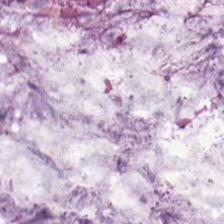H&E stain.
The predominant tissue is mucus.
